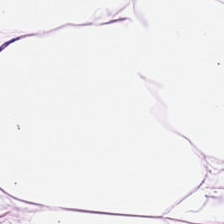20× equivalent magnification. Hematoxylin-and-eosin stained section. Tissue class = adipocytes.
